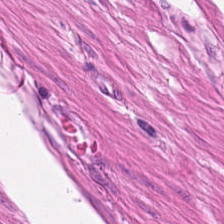Stain: hematoxylin-and-eosin stained section.
Preparation: FFPE tissue section.
Tissue: muscularis.
